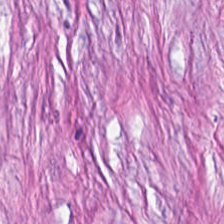Hematoxylin-and-eosin section: cancer-associated stroma.
